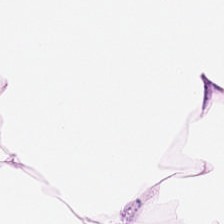Hematoxylin-and-eosin stained section; 224×224 px patch.
The tissue type is fat tissue.
